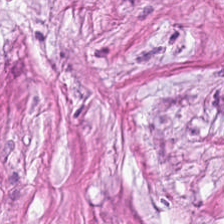H&E stain. The predominant tissue is tumor stroma.
